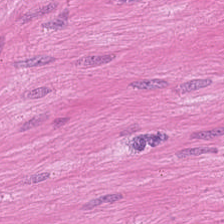224×224 px patch · hematoxylin-and-eosin stained section.
This field is muscularis.
